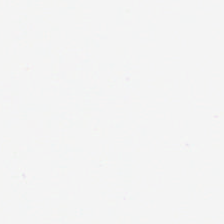Stain: hematoxylin-and-eosin stained section.
Field content: no tissue.
